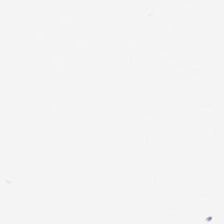Hematoxylin and eosin.
This field is background (no tissue).
